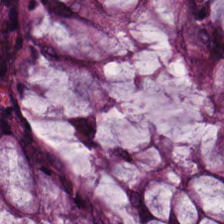Hematoxylin and eosin · 0.5 microns per pixel · FFPE tissue section — Q: What does this patch show?
A: Non-neoplastic colon mucosa.
